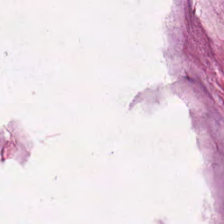Hematoxylin-and-eosin stained section.
The predominant tissue is mucin.
